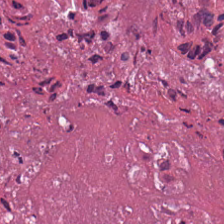H&E-stained tissue section. This patch shows cellular debris.
